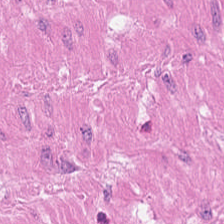FFPE tissue section. Hematoxylin-and-eosin stained section. Q: Classify this patch.
A: This is smooth muscle.
